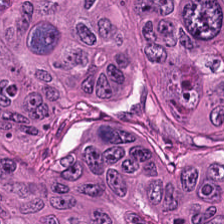Classification — malignant epithelium.
